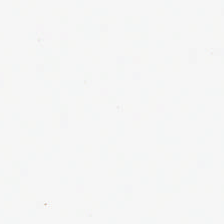Whole-slide-image patch. H&E-stained tissue section. Formalin-fixed paraffin-embedded section.
Background.
